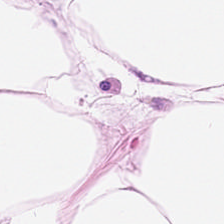Classification — fat tissue.
